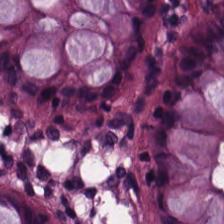Hematoxylin-and-eosin stained section; 0.5 microns per pixel — Q: Classify this patch.
A: It is normal colon mucosa.
